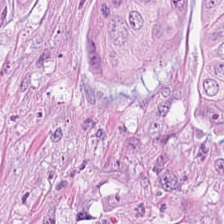Stain: H&E-stained tissue section.
Tissue type: adenocarcinoma.
